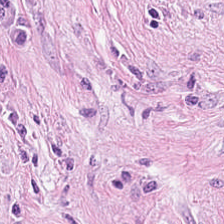Formalin-fixed paraffin-embedded section; 0.5 µm/px; hematoxylin and eosin — Q: What does this patch show?
A: The field shows desmoplastic stroma.
